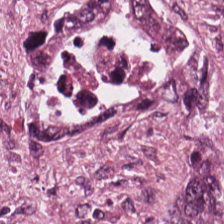H&E stain.
The tissue here is colorectal adenocarcinoma.
